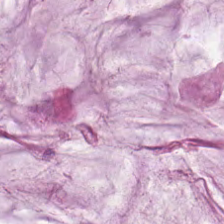Stain: H&E.
Acquisition: WSI patch.
Tissue type: extracellular mucin.
